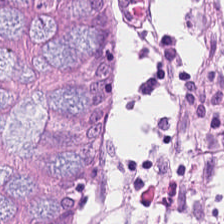Formalin-fixed paraffin-embedded section. 224×224 px tile. Hematoxylin-and-eosin stained section.
The tissue type is non-neoplastic colon mucosa.
